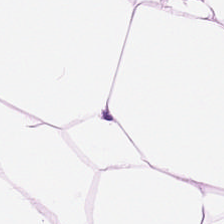H&E-stained tissue section; WSI patch.
Q: What tissue is shown?
A: It is fat tissue.
